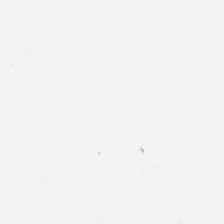H&E — Histology → empty background.
